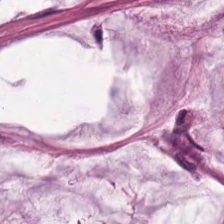Brightfield; 20× equivalent magnification; H&E.
Predominantly extracellular mucin.
